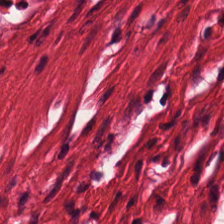H&E.
Impression → smooth-muscle tissue.
